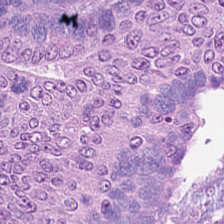Hematoxylin-and-eosin stained section — Q: What does this patch show?
A: It is malignant epithelium.
